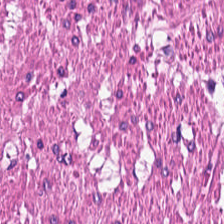The tissue here is smooth muscle.
